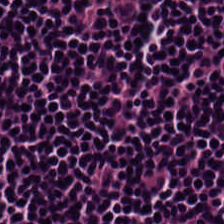Hematoxylin and eosin.
The tissue is lymphocytic infiltrate.
